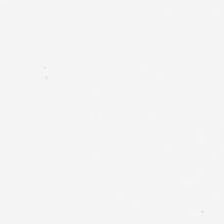224×224 px tile. Hematoxylin and eosin.
Histology — empty background.
